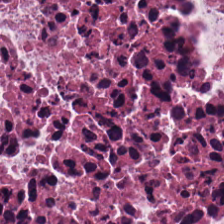H&E; 0.5 microns per pixel — The tissue here is debris.
